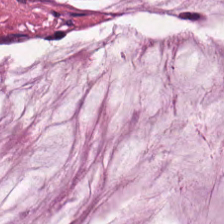H&E · 224×224 pixel tile — This patch shows extracellular mucin.
